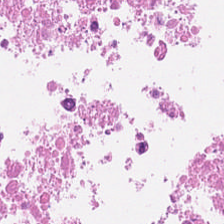H&E; 224×224 px patch — {"tissue_type": "debris"}
